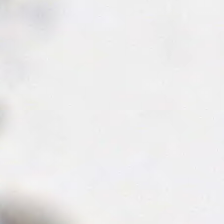224×224 pixel tile. H&E-stained tissue section. Empty field — no tissue.
